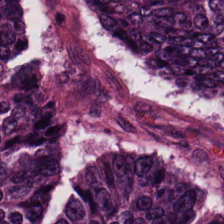H&E-stained tissue section. Q: What is shown in this field?
A: This is malignant epithelium.
